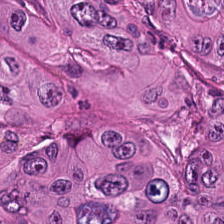Stain: hematoxylin-and-eosin stained section.
Predominant tissue: malignant epithelium.
